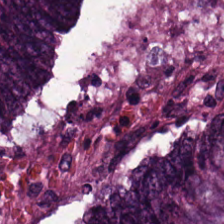Stain: hematoxylin and eosin.
Predominant tissue: tumor epithelium.
